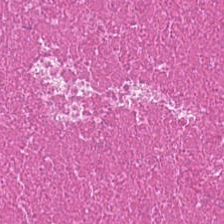Hematoxylin-and-eosin stained section.
Q: Identify the tissue.
A: The field shows cellular debris.
